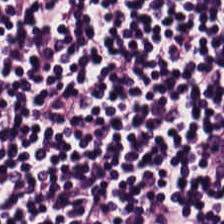Stain: H&E stain.
Predominant tissue: lymphocytic infiltrate.
